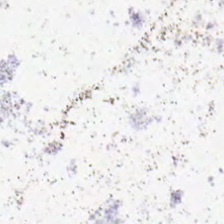Stain: H&E stain.
Content: background.
